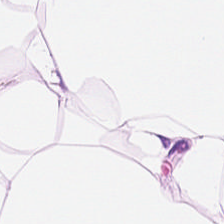H&E stain. Showing adipocytes.
